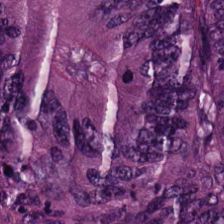Stain: H&E.
Predominant tissue: adenocarcinoma.
